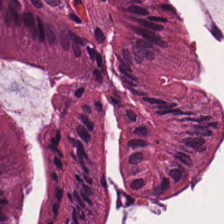Hematoxylin-and-eosin stained section. Predominant tissue — benign colonic mucosa.
